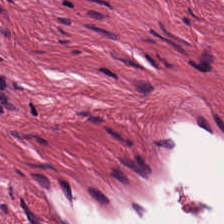Brightfield · H&E-stained tissue section.
{"tissue_type": "tumor stroma"}
